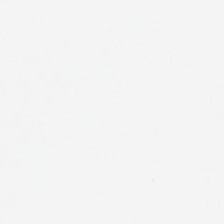Brightfield. H&E stain.
The classification is background.
